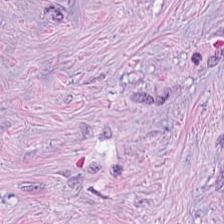Hematoxylin and eosin. Formalin-fixed paraffin-embedded section. Brightfield — The tissue here is desmoplastic stroma.
